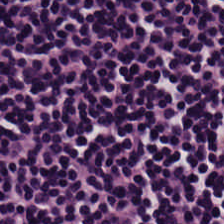Predominant tissue: lymphocytes.
